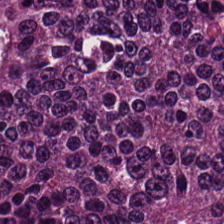Classification — colorectal adenocarcinoma epithelium.
